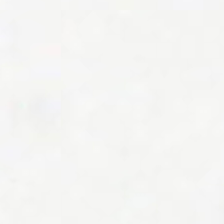This field is background (no tissue).
